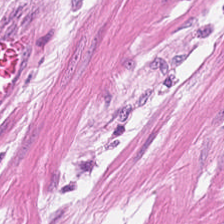{"tissue_type": "smooth muscle"}
